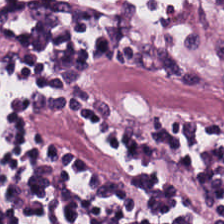{"tissue_type": "lymphocytes"}
